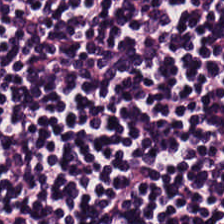Stain: hematoxylin-and-eosin stained section.
Predominant tissue: lymphoid infiltrate.
